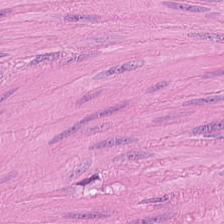H&E-stained tissue section. This patch shows smooth muscle.
